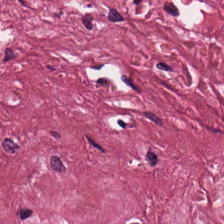224×224 px patch. H&E.
Q: What type of tissue is this?
A: Desmoplastic stroma.
